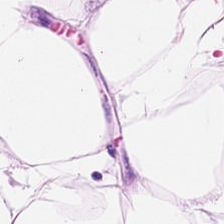H&E-stained tissue section — Q: What tissue type is shown here?
A: Adipose.
